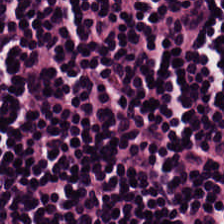The tissue here is lymphocyte aggregate.
